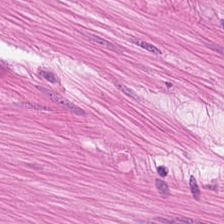0.5 microns per pixel. H&E-stained tissue section. Impression — muscularis.
